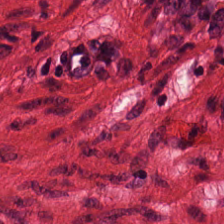Hematoxylin and eosin; 0.5 microns per pixel — Tissue type = muscularis.
